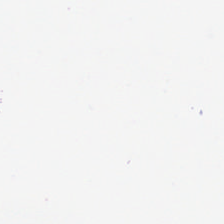Brightfield microscopy · 224×224 px patch · hematoxylin-and-eosin stained section. The field content is empty background.
